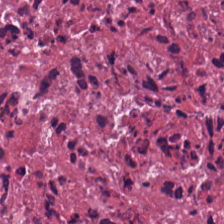H&E stain — Impression → debris.
